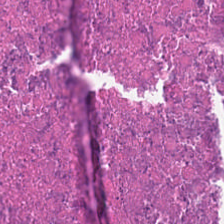H&E stain.
Predominant tissue = cellular debris.
